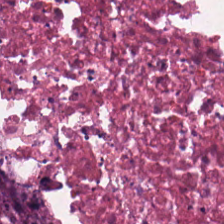224×224 pixel tile · hematoxylin and eosin — Classification: necrotic debris.
